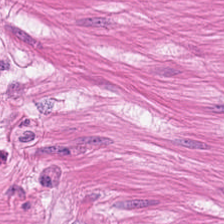FFPE; hematoxylin and eosin.
{"tissue_type": "muscularis"}
